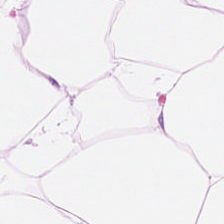This patch shows adipose.
